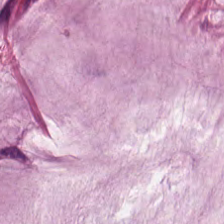0.5 µm/px · H&E-stained tissue section — This patch shows mucin.
